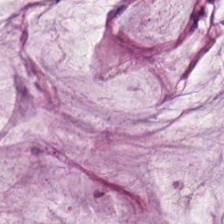Stain: H&E-stained tissue section.
Preparation: FFPE tissue section.
Resolution: 0.5 µm per pixel.
Predominant tissue: mucin.
